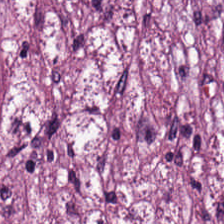H&E stain. Tissue: tumor stroma.
